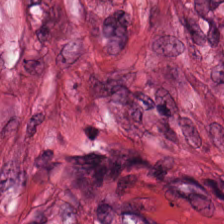Q: Classify this patch.
A: The field shows tumor stroma.
